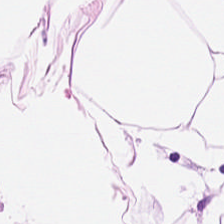This patch shows fat tissue.
